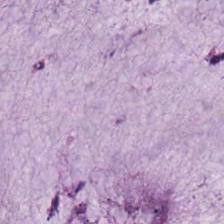H&E. 224×224 pixel tile — Histology — extracellular mucin.
